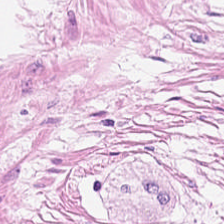0.5 µm per pixel · H&E-stained tissue section — Predominantly muscularis.
